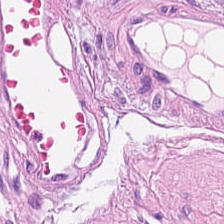H&E-stained tissue section.
Predominantly smooth muscle.
